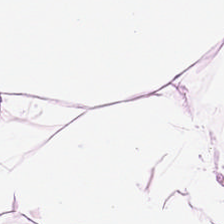Hematoxylin and eosin. Fat tissue.
